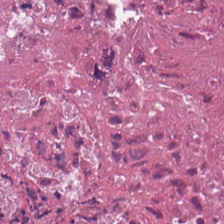Stain: hematoxylin and eosin.
Preparation: FFPE.
Classification: debris.
